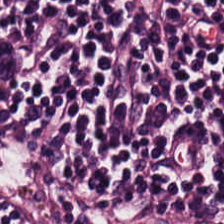H&E patch showing lymphoid infiltrate.
